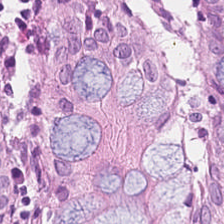0.5 µm/px. Hematoxylin-and-eosin stained section. Showing benign colonic mucosa.
